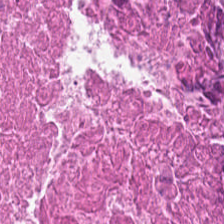Hematoxylin-and-eosin stained section.
This patch shows debris.
